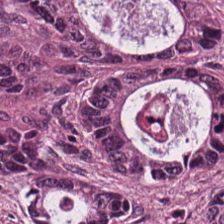0.5 µm/px · H&E-stained tissue section · FFPE tissue section. {"tissue_type": "colorectal adenocarcinoma epithelium"}
